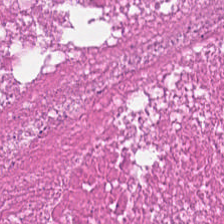H&E-stained tissue section · formalin-fixed paraffin-embedded section · WSI patch — Histology → necrotic debris.
